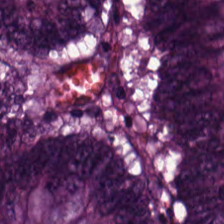Hematoxylin-and-eosin stained section — Showing colorectal adenocarcinoma epithelium.
